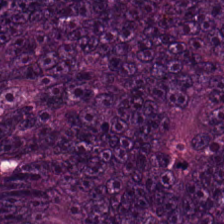Q: What type of tissue is this?
A: Colorectal adenocarcinoma epithelium.
